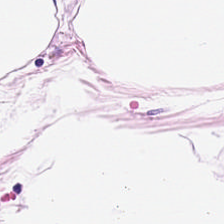Hematoxylin-and-eosin stained section — Q: What is shown here?
A: The field shows fat tissue.
